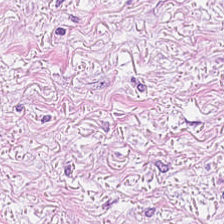H&E stain — Q: What is shown here?
A: Tumor-associated stroma.
